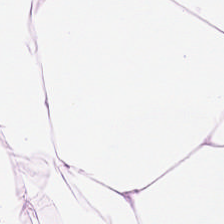224×224 px tile; formalin-fixed paraffin-embedded section; H&E.
Q: Identify the tissue.
A: This is adipocytes.
